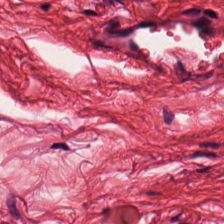Stain: H&E-stained tissue section.
Resolution: 0.5 microns per pixel.
Predominant tissue: smooth-muscle tissue.
